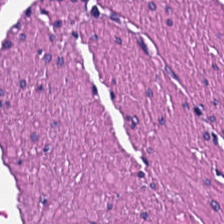Predominant tissue: muscularis.
